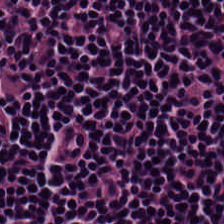Stain: H&E.
Tissue: lymphocytic infiltrate.
